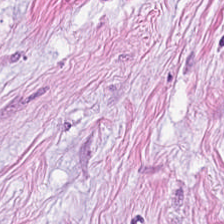H&E. Q: What type of tissue is this?
A: It is tumor-associated stroma.
